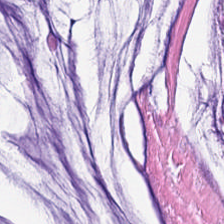Predominant tissue = mucus.
